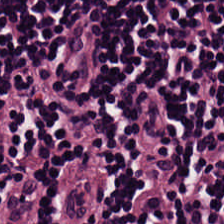H&E. Q: Identify the tissue.
A: Lymphocyte aggregate.
